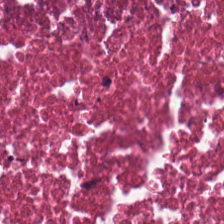H&E-stained tissue section — Predominant tissue = necrotic debris.
